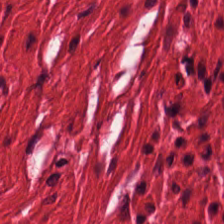WSI patch. Hematoxylin-and-eosin stained section — Histology — muscularis.
